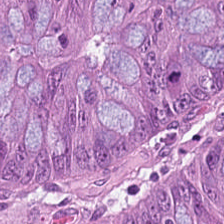H&E patch showing colorectal adenocarcinoma.
